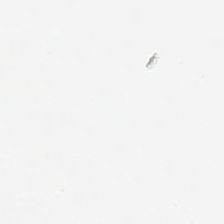H&E stain — This patch shows empty background.
